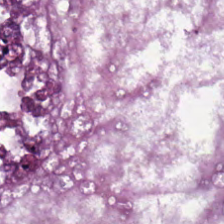Stain: hematoxylin and eosin.
Tile size: 224×224 px patch.
Preparation: FFPE.
Classification: adenocarcinoma.
